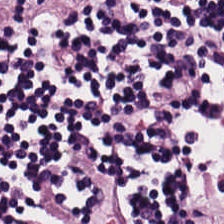20× equivalent magnification. Hematoxylin and eosin.
Showing lymphocytic infiltrate.
